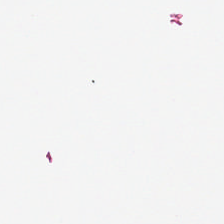Stain: H&E.
Resolution: 0.5 microns per pixel.
Content: empty background.
